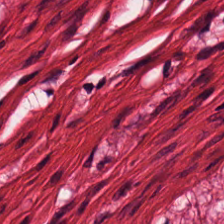Q: Identify the tissue.
A: Smooth-muscle tissue.
